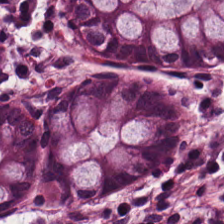Hematoxylin-and-eosin stained section.
The tissue here is benign colonic mucosa.
